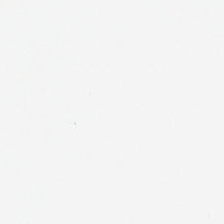Stain: H&E stain.
Classification: no tissue.
